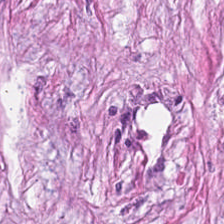224×224 px patch; hematoxylin and eosin; brightfield microscopy.
Tissue — tumor stroma.
